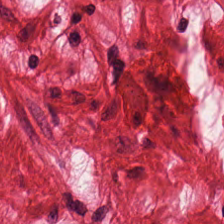H&E-stained tissue section.
{"tissue_type": "smooth muscle"}
